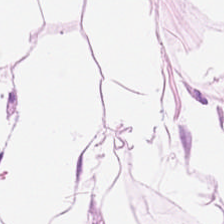H&E stain. {"tissue_type": "adipose tissue"}
